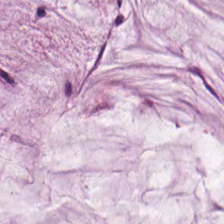224×224 px patch. H&E-stained tissue section. Tissue type — mucus.
